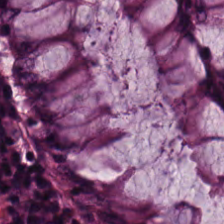H&E stain. 0.5 µm/px — Predominantly benign colonic mucosa.
